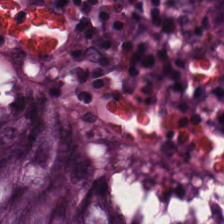H&E-stained tissue section — Impression → benign colonic mucosa.
